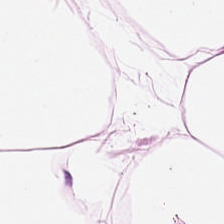H&E stain. FFPE. Q: What tissue is shown?
A: It is adipose tissue.
